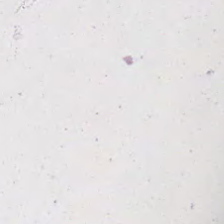Background — no tissue in this field.
